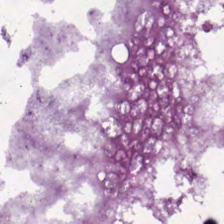H&E stain.
Q: What does this patch show?
A: The field shows colorectal adenocarcinoma epithelium.
